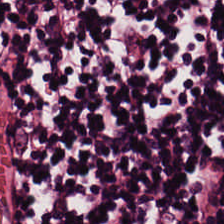Stain: hematoxylin-and-eosin stained section.
Classification: lymphocytes.
